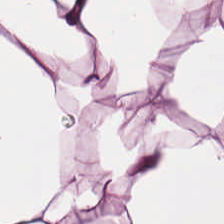Histology — fat tissue.
